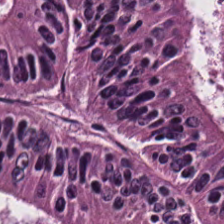Stain: H&E stain.
Preparation: FFPE tissue section.
Acquisition: WSI patch.
Predominant tissue: colorectal adenocarcinoma.
